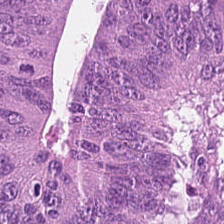Q: What tissue type is shown here?
A: It is tumor epithelium.
